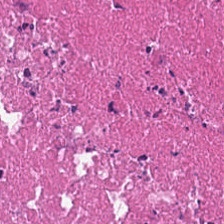0.5 µm/px · FFPE · hematoxylin and eosin — Histology → necrotic debris.
